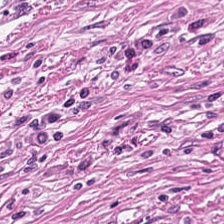Hematoxylin and eosin — Classification — tumor stroma.
